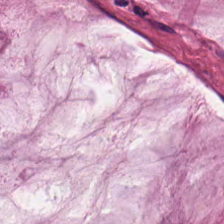H&E; FFPE.
Q: What type of tissue is this?
A: This is mucin.
